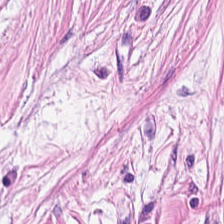Hematoxylin and eosin. This field is cancer-associated stroma.
